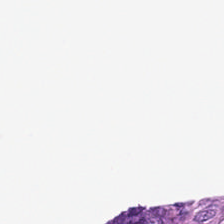Histology → empty background.
